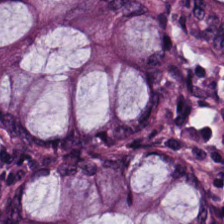FFPE tissue section; whole-slide-image patch; hematoxylin-and-eosin stained section. Classification — normal colon mucosa.
